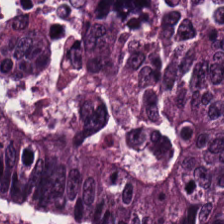H&E-stained tissue section — The predominant tissue is colorectal adenocarcinoma epithelium.
